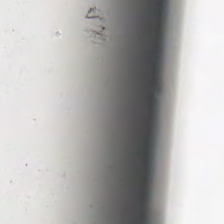224×224 px tile. H&E stain. Field content — background.
